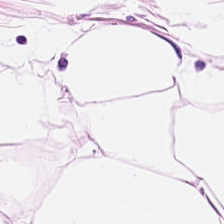Brightfield microscopy. Hematoxylin-and-eosin stained section.
Tissue: adipose tissue.
